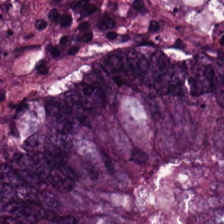H&E-stained tissue section; 0.5 µm per pixel. Predominantly malignant epithelium.
